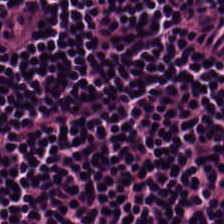Hematoxylin-and-eosin stained section; FFPE tissue section; 224×224 px patch — {"tissue_type": "lymphocyte aggregate"}
